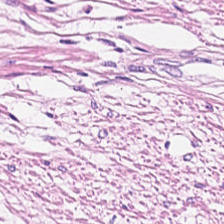Hematoxylin and eosin. Whole-slide-image patch. Q: What tissue is shown?
A: The field shows muscularis.
